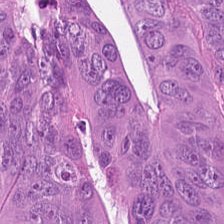H&E-stained tissue section showing colorectal adenocarcinoma.
